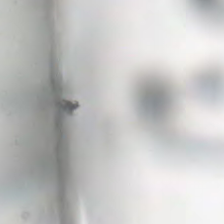H&E. Empty background.
